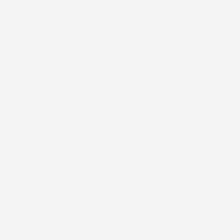Background — no tissue in this field.
